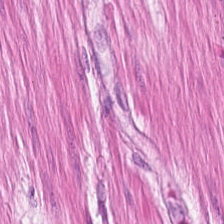Hematoxylin-and-eosin stained section.
Q: What is shown in this field?
A: Smooth muscle.
